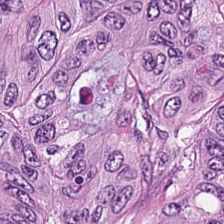H&E-stained tissue section. The tissue is malignant epithelium.
